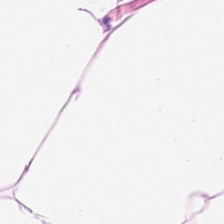Stain: H&E-stained tissue section.
Tissue type: fat tissue.
